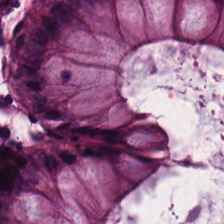H&E-stained tissue section showing normal colon mucosa.
